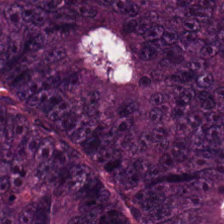224×224 px tile. Hematoxylin-and-eosin stained section.
Q: What is shown in this field?
A: This is adenocarcinoma.
